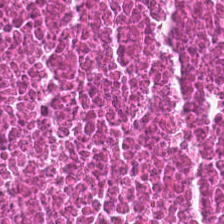Hematoxylin-and-eosin stained section — Finding → debris.
